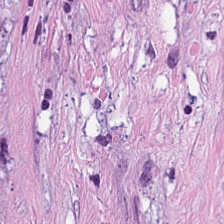H&E.
Predominantly desmoplastic stroma.
